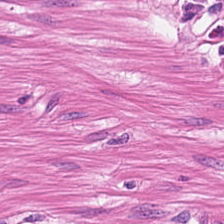Smooth-muscle tissue.
